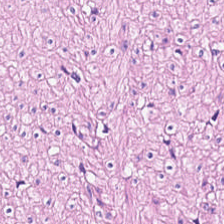Hematoxylin-and-eosin stained section.
The tissue here is muscularis.
